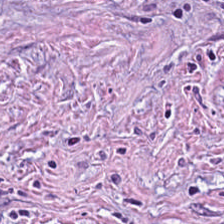0.5 µm per pixel · H&E stain — Histology → cancer-associated stroma.
